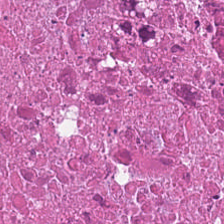The predominant tissue is necrotic debris.
